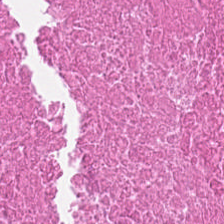FFPE tissue section; H&E stain; 0.5 microns per pixel. The classification is debris.
